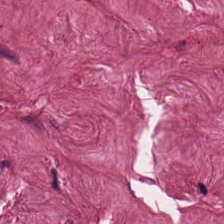WSI patch · hematoxylin-and-eosin stained section.
Q: Identify the tissue.
A: It is desmoplastic stroma.
